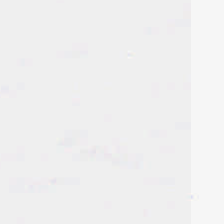0.5 µm per pixel. Hematoxylin and eosin. Brightfield microscopy — The field content is no tissue.
